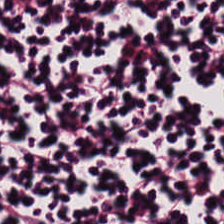Stain: hematoxylin-and-eosin stained section.
Preparation: formalin-fixed paraffin-embedded section.
Tissue class: lymphocytes.
